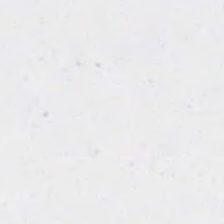0.5 µm/px; H&E stain.
Impression → background.
